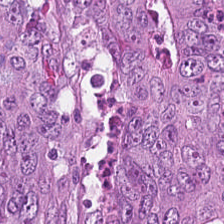H&E-stained tissue section. {"tissue_type": "malignant epithelium"}
